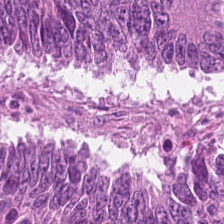Hematoxylin-and-eosin stained section.
Predominant tissue = malignant epithelium.
